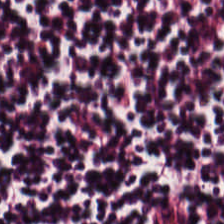H&E-stained tissue section — Histology — lymphocyte aggregate.
